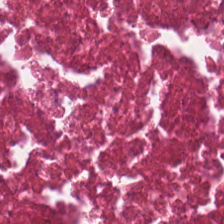H&E-stained tissue section.
Showing cellular debris.
